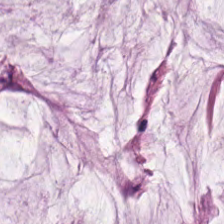H&E — This patch shows mucin.
